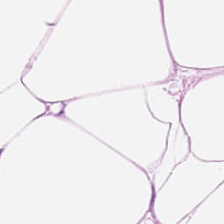H&E-stained section; the field shows adipose tissue.
